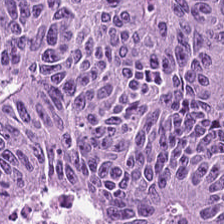224×224 pixel tile; H&E-stained tissue section. This patch shows tumor epithelium.
